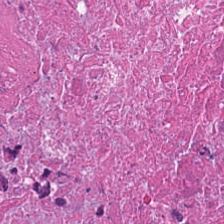Q: What is the predominant tissue type?
A: Necrotic debris.
